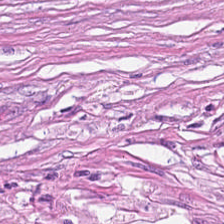Stain: H&E-stained tissue section.
Classification: desmoplastic stroma.
